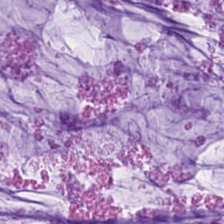Classification = mucin.
